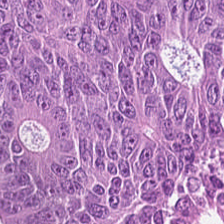Predominant tissue: adenocarcinoma.
